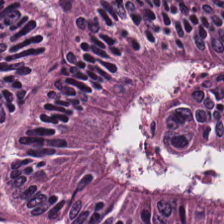H&E. The tissue here is malignant epithelium.
